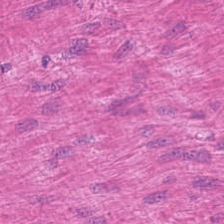Tissue type: muscularis.
